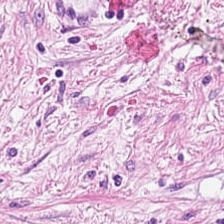Hematoxylin-and-eosin stained section.
Q: What is shown in this field?
A: The field shows cancer-associated stroma.
